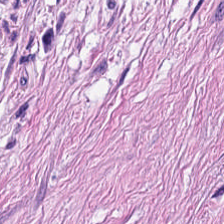Hematoxylin-and-eosin stained section. The tissue type is smooth-muscle tissue.
